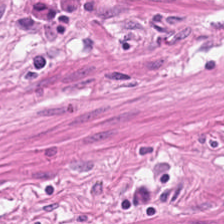224×224 px patch. H&E — Classification: muscularis.
